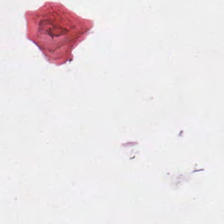Stain: hematoxylin-and-eosin stained section.
Preparation: formalin-fixed paraffin-embedded section.
Field content: background (no tissue).
